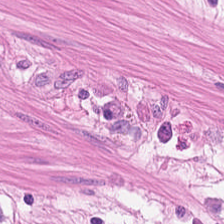Stain: hematoxylin-and-eosin stained section.
Acquisition: brightfield microscopy.
Tissue type: smooth-muscle tissue.
